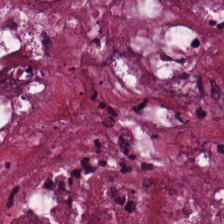Stain: hematoxylin and eosin.
Predominant tissue: cellular debris.
